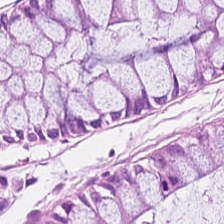H&E. 224×224 px tile.
Q: What type of tissue is this?
A: Normal colonic mucosa.
